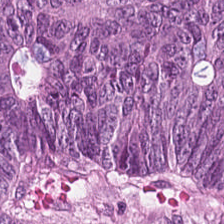Tissue: colorectal adenocarcinoma.
